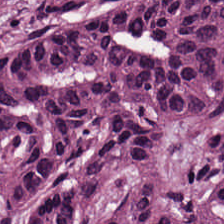Hematoxylin and eosin. The predominant tissue is adenocarcinoma.
